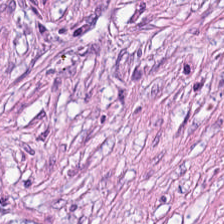Tumor stroma.
